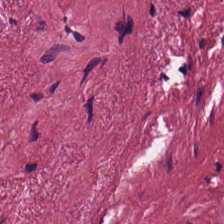Hematoxylin-and-eosin stained section. Predominantly tumor-associated stroma.
